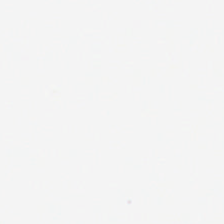Hematoxylin and eosin. FFPE. This patch shows background (no tissue).
